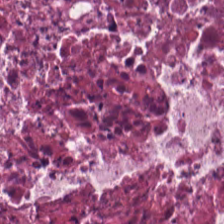Hematoxylin-and-eosin stained section — Tissue type: cellular debris.
